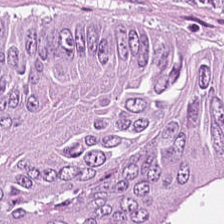Hematoxylin-and-eosin stained section · formalin-fixed paraffin-embedded section. The tissue here is tumor epithelium.
